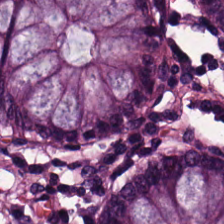Hematoxylin-and-eosin stained section.
The predominant tissue is non-neoplastic colon mucosa.
